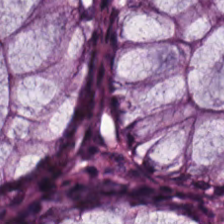Formalin-fixed paraffin-embedded section · H&E stain.
Impression — normal colon mucosa.
